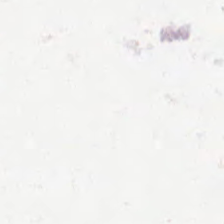Whole-slide-image patch; H&E.
Classification = no tissue.
